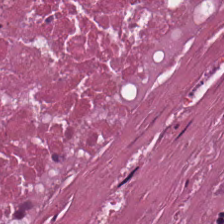H&E-stained tissue section. Q: What is shown here?
A: The field shows necrotic debris.
